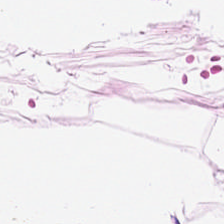0.5 µm/px · H&E stain.
Q: Classify this patch.
A: The field shows fat tissue.
